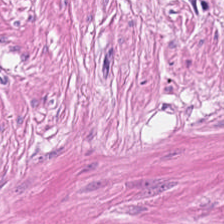Stain: hematoxylin-and-eosin stained section.
Tile size: 224×224 px tile.
Preparation: FFPE.
Tissue type: muscularis.
